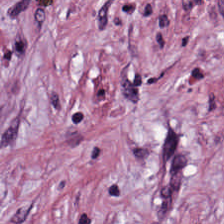FFPE tissue section · whole-slide-image patch · hematoxylin and eosin.
Finding — desmoplastic stroma.
